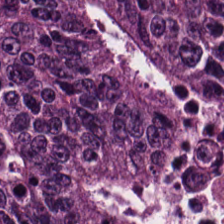H&E-stained tissue section · brightfield microscopy — Predominantly adenocarcinoma.
